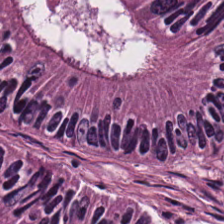Hematoxylin-and-eosin stained section · 20× equivalent magnification — Q: Identify the tissue.
A: This is adenocarcinoma.
